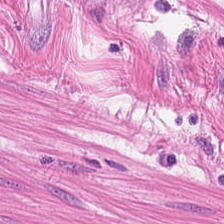H&E stain; 0.5 µm per pixel. The tissue is smooth-muscle tissue.
